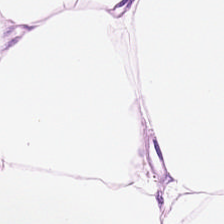H&E-stained tissue section. The tissue type is adipose.
